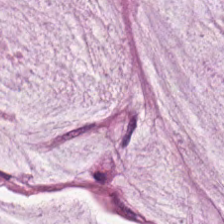FFPE tissue section; 0.5 microns per pixel; hematoxylin-and-eosin stained section — This field is extracellular mucin.
